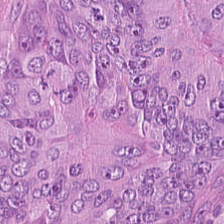Hematoxylin-and-eosin section: tumor epithelium.
